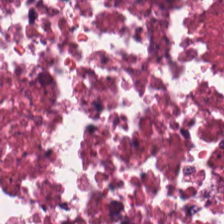H&E-stained tissue section. The tissue here is necrotic debris.
